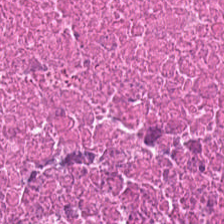Q: Identify the tissue.
A: Necrotic debris.
